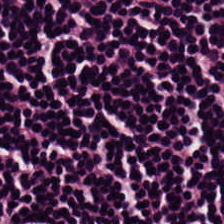The predominant tissue is lymphocytic infiltrate.
